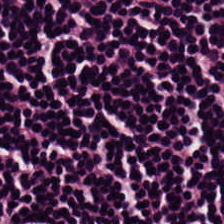The predominant tissue is lymphocytic infiltrate.
